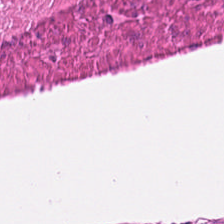0.5 microns per pixel. H&E-stained tissue section. Formalin-fixed paraffin-embedded section — Smooth-muscle tissue.
